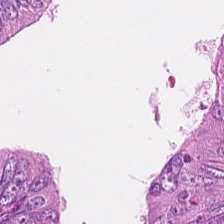Hematoxylin-and-eosin stained section.
Tissue = colorectal adenocarcinoma.
